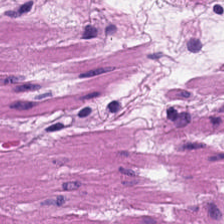Whole-slide-image patch · formalin-fixed paraffin-embedded section · hematoxylin-and-eosin stained section. {"tissue_type": "smooth-muscle tissue"}
